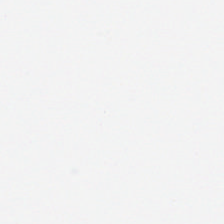224×224 pixel tile; H&E-stained tissue section.
Impression — empty background.
